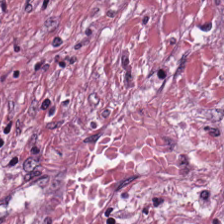The classification is tumor stroma.
